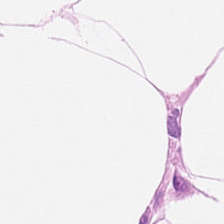H&E-stained tissue section · FFPE.
Q: What is the predominant tissue type?
A: The field shows adipose.
